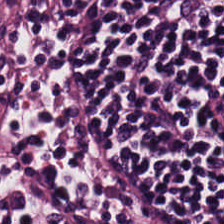Stain: H&E stain.
Classification: lymphoid infiltrate.
